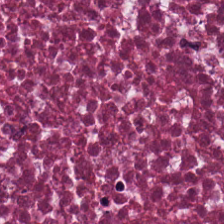Histology → necrotic debris.
